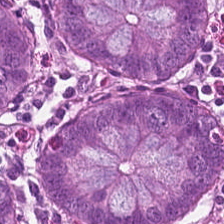224×224 pixel tile; H&E-stained tissue section. This patch shows normal colon mucosa.
